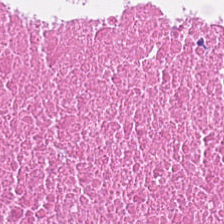H&E — necrotic debris.
